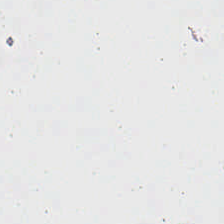The classification is background (no tissue).
